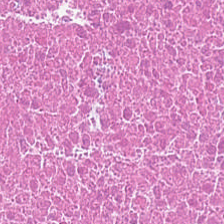FFPE; H&E stain.
Tissue: necrotic debris.
